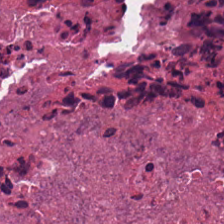H&E.
Histology — cellular debris.
